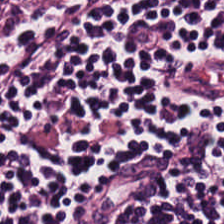The predominant tissue is lymphoid infiltrate.
